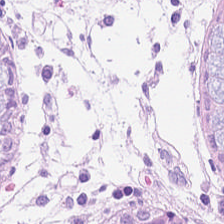H&E — Classification: non-neoplastic colon mucosa.
